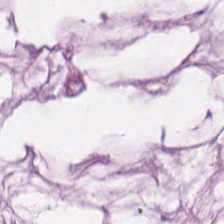Histology → mucin.
